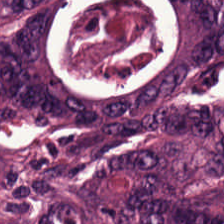This patch shows colorectal adenocarcinoma epithelium.
